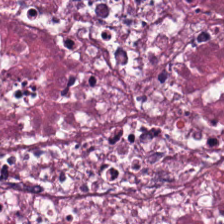H&E-stained tissue section. Q: What is shown in this field?
A: This is debris.
